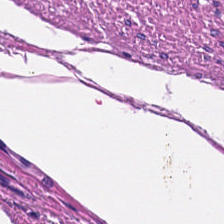Stain: H&E.
Classification: smooth muscle.
